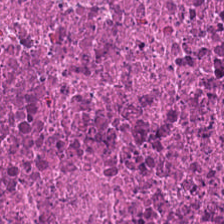H&E-stained tissue section.
{"tissue_type": "necrotic debris"}
